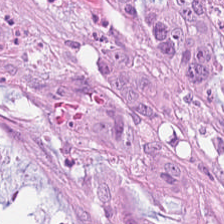WSI patch · 224×224 px tile · H&E-stained tissue section — The classification is adenocarcinoma.
